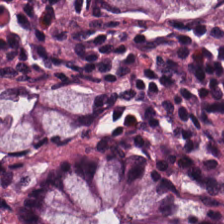H&E stain.
The tissue here is benign colonic mucosa.
